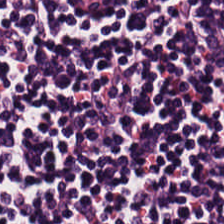Stain: H&E.
Tissue: lymphocyte aggregate.
